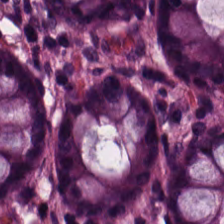Hematoxylin and eosin.
Normal colon mucosa.
